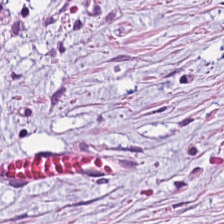Hematoxylin and eosin. Showing desmoplastic stroma.
